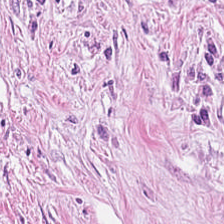The predominant tissue is cancer-associated stroma.
